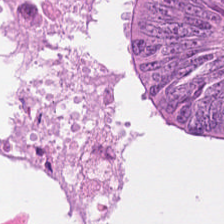0.5 microns per pixel. 224×224 px patch. H&E-stained tissue section.
Malignant epithelium.
